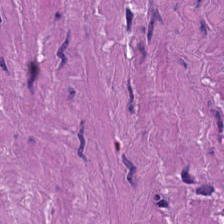Impression — smooth-muscle tissue.
